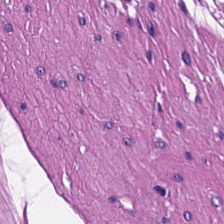Whole-slide-image patch. H&E — Showing smooth muscle.
